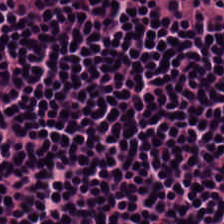H&E patch showing lymphocyte aggregate.
